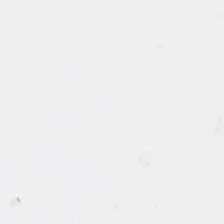Hematoxylin and eosin — This field is background (no tissue).
